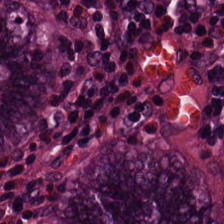Hematoxylin and eosin. FFPE. WSI patch — Q: What type of tissue is this?
A: It is normal colon mucosa.
